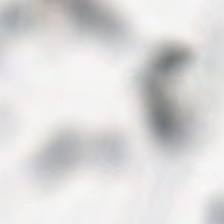H&E-stained tissue section. Content — no tissue.
